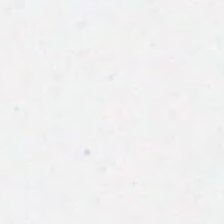Hematoxylin-and-eosin stained section — Q: What is shown in this field?
A: The field shows background.
